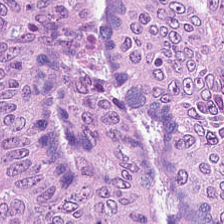Hematoxylin and eosin. Finding — adenocarcinoma.
